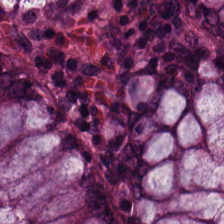This field is normal colonic mucosa.
